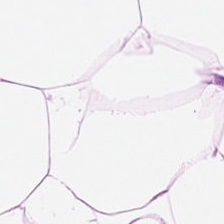Hematoxylin-and-eosin stained section — Classification: fat tissue.
